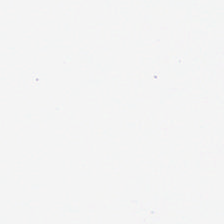H&E stain.
Classification = background.
